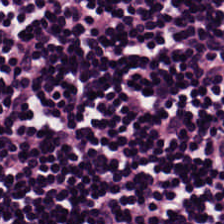H&E. Brightfield microscopy.
Q: What is shown here?
A: It is lymphocytes.
